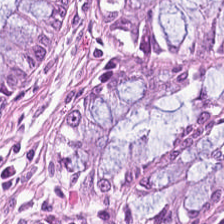H&E stain. Impression → normal colonic mucosa.
